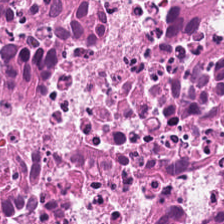Histology — necrotic debris.
